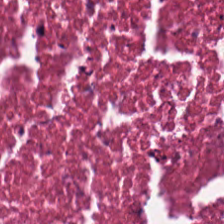H&E stain.
Cellular debris.
